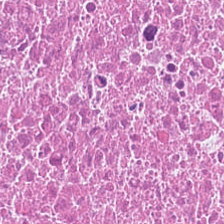Stain: H&E stain.
Tissue: debris.
